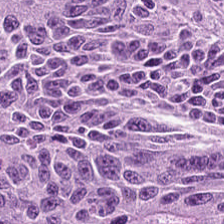H&E-stained tissue section · 224×224 pixel tile. Q: What is shown here?
A: It is malignant epithelium.
